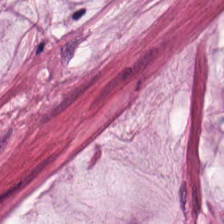Hematoxylin-and-eosin stained section.
The tissue class is extracellular mucin.
